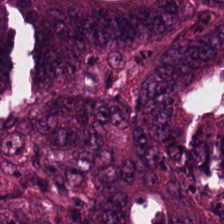Hematoxylin and eosin.
Classification = colorectal adenocarcinoma epithelium.
